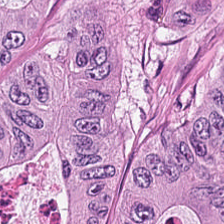Hematoxylin-and-eosin stained section. Histology — adenocarcinoma.
